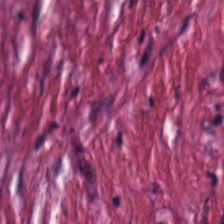H&E-stained tissue section; 0.5 microns per pixel; brightfield microscopy — Predominantly desmoplastic stroma.
